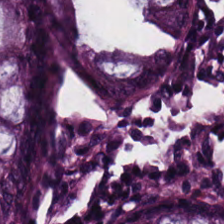H&E stain; 224×224 pixel tile.
Histology — normal colon mucosa.
